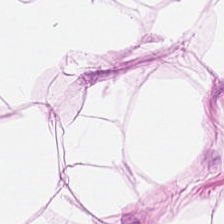H&E-stained tissue section — Predominant tissue: adipocytes.
